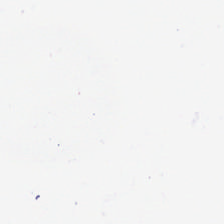WSI patch. Hematoxylin-and-eosin stained section — Content — no tissue.
